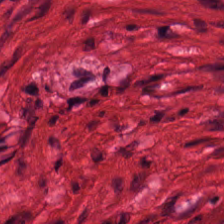Whole-slide-image patch. H&E stain. 224×224 pixel tile. Histology → smooth muscle.
